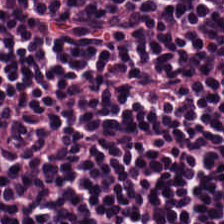H&E stain.
Predominantly lymphocytic infiltrate.
